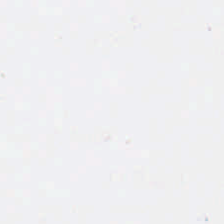Q: Classify this patch.
A: The field shows background (no tissue).
